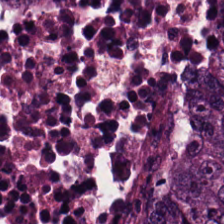Tissue = adenocarcinoma.
